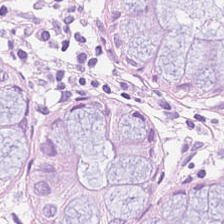Brightfield microscopy. Hematoxylin and eosin. Showing non-neoplastic colon mucosa.
